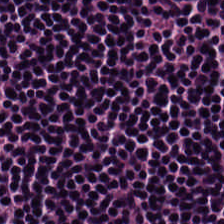H&E — Q: What is shown in this field?
A: This is lymphocytes.
